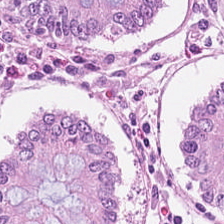Stain: H&E-stained tissue section.
Resolution: 0.5 µm per pixel.
Tissue class: benign colonic mucosa.
